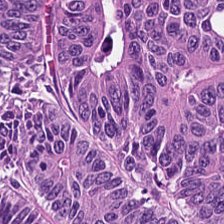Formalin-fixed paraffin-embedded section. H&E stain — The predominant tissue is adenocarcinoma.
